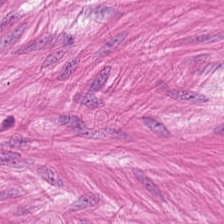The tissue is smooth muscle.
